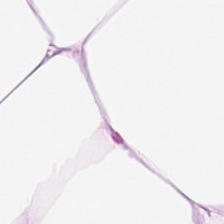Stain: H&E stain.
Acquisition: brightfield microscopy.
Tile size: 224×224 pixel tile.
Tissue type: adipocytes.
